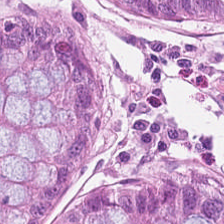H&E — non-neoplastic colon mucosa.
